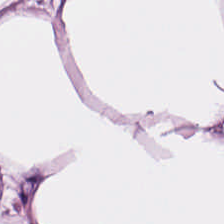H&E; 0.5 µm per pixel. This patch shows fat tissue.
